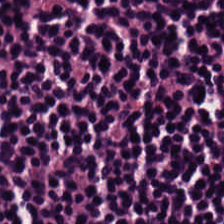The tissue type is lymphocyte aggregate.
